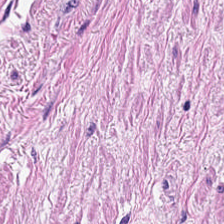H&E stain.
Showing muscularis.
